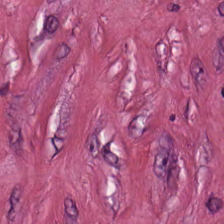Formalin-fixed paraffin-embedded section. H&E stain. WSI patch.
This patch shows tumor stroma.
